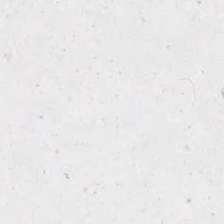224×224 pixel tile · hematoxylin-and-eosin stained section.
Field content: background.
